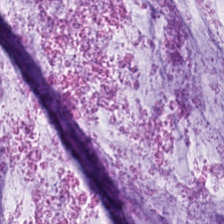Stain: H&E.
Tissue type: mucin.
